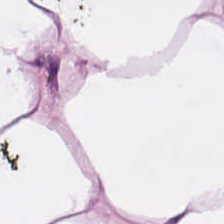Q: Identify the tissue.
A: The field shows adipose.
